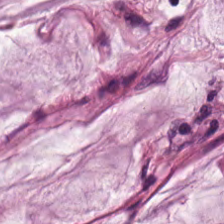0.5 µm/px. Hematoxylin and eosin — This field is mucus.
